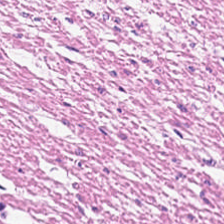Hematoxylin and eosin — Tissue class = smooth muscle.
